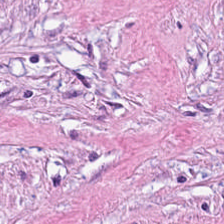Brightfield microscopy; FFPE tissue section; H&E.
Tumor stroma.
